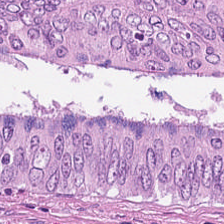Hematoxylin-and-eosin stained section.
Tissue: tumor epithelium.
